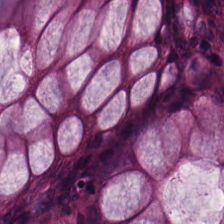The predominant tissue is benign colonic mucosa.
